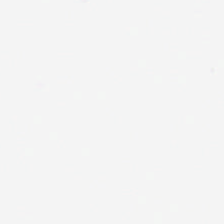Finding — background (no tissue).
